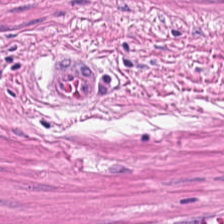Hematoxylin and eosin — Predominantly smooth muscle.
